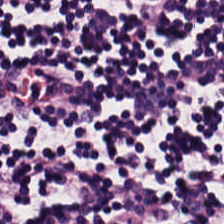Hematoxylin and eosin.
Tissue class = lymphocyte aggregate.
